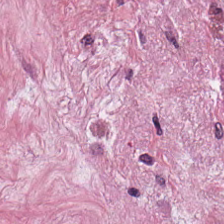Formalin-fixed paraffin-embedded section. 0.5 microns per pixel. H&E-stained tissue section. Tissue class: cancer-associated stroma.
